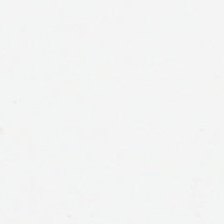H&E stain.
Empty background.
